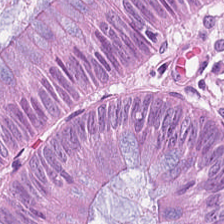H&E stain — Q: What type of tissue is this?
A: This is tumor epithelium.
